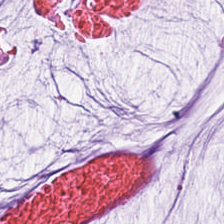Stain: H&E-stained tissue section.
Classification: extracellular mucin.
